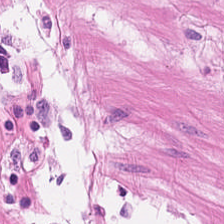Hematoxylin and eosin.
This patch shows smooth muscle.
